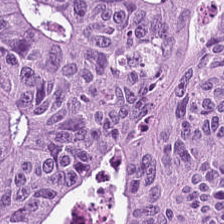Stain: H&E.
Tissue type: tumor epithelium.
